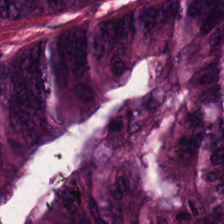Hematoxylin-and-eosin stained section.
Predominantly adenocarcinoma.
